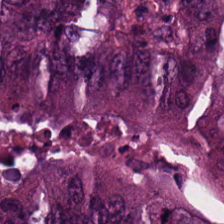0.5 microns per pixel. H&E stain. 224×224 pixel tile — Q: What tissue is shown?
A: The field shows colorectal adenocarcinoma.
